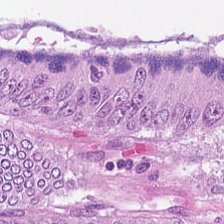H&E-stained tissue section; 0.5 µm per pixel; brightfield.
Finding — malignant epithelium.
